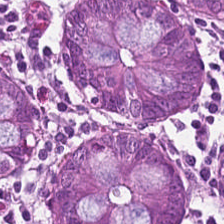224×224 px patch. WSI patch. H&E.
Tissue: normal colon mucosa.
